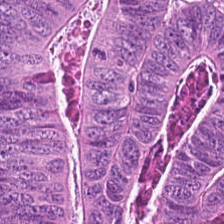Hematoxylin-and-eosin stained section. This patch shows malignant epithelium.
